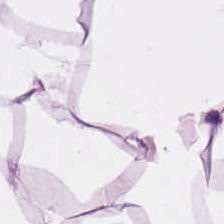Stain: H&E-stained tissue section.
Tile size: 224×224 pixel tile.
Tissue type: adipose tissue.
